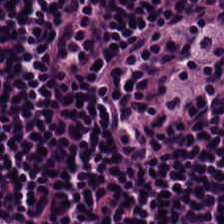H&E patch showing lymphoid infiltrate.
